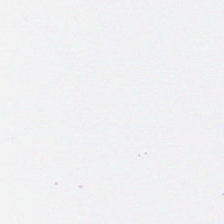H&E stain · 224×224 px patch.
Content = background.
